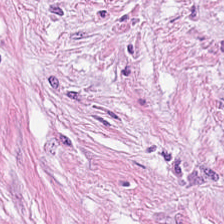Histology → desmoplastic stroma.
